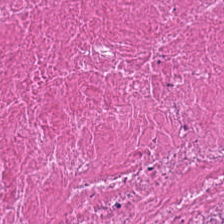Hematoxylin-and-eosin stained section. Formalin-fixed paraffin-embedded section. 224×224 px patch.
Classification — necrotic debris.
